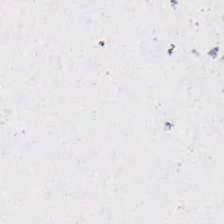Hematoxylin-and-eosin stained section. This patch shows no tissue.
